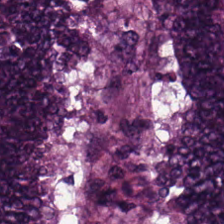Predominant tissue = colorectal adenocarcinoma.
